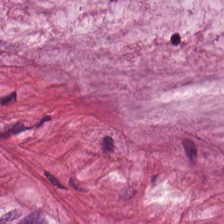H&E-stained tissue section showing mucus.
